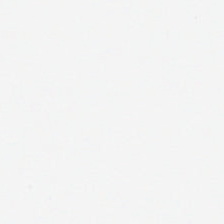Hematoxylin-and-eosin stained section; FFPE tissue section; 0.5 µm per pixel. {"content": "background (no tissue)"}
